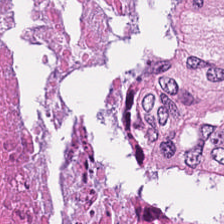Hematoxylin and eosin. WSI patch. 224×224 px patch.
Necrotic debris.
